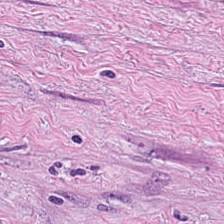Hematoxylin-and-eosin section: desmoplastic stroma.
